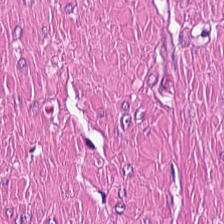H&E stain — Finding → muscularis.
